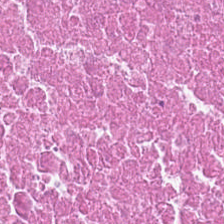224×224 px patch; H&E-stained tissue section; whole-slide-image patch — This field is cellular debris.
